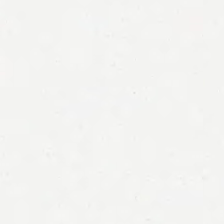Stain: H&E stain.
Content: background (no tissue).
